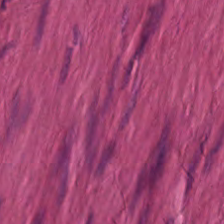H&E-stained tissue section.
Smooth muscle.
